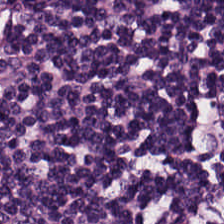H&E-stained tissue section. Whole-slide-image patch.
Lymphocyte aggregate.
